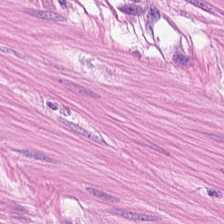Stain: H&E.
Tissue: muscularis.
